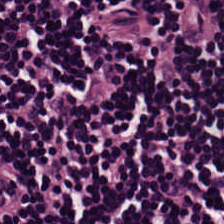H&E-stained tissue section. Formalin-fixed paraffin-embedded section.
This field is lymphocyte aggregate.
